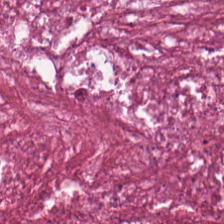Hematoxylin and eosin · 20× equivalent magnification · formalin-fixed paraffin-embedded section — {"tissue_type": "necrotic debris"}
